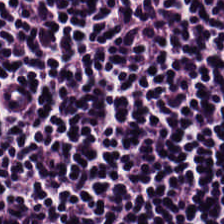Hematoxylin and eosin. Histology — lymphocytes.
